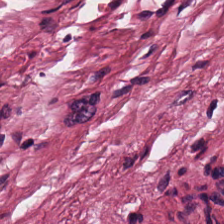Hematoxylin-and-eosin stained section — The tissue here is desmoplastic stroma.
